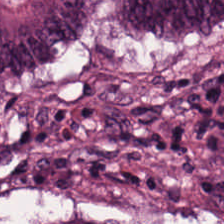Brightfield microscopy. Hematoxylin-and-eosin stained section.
Showing malignant epithelium.
